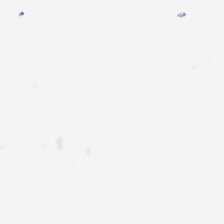0.5 microns per pixel · hematoxylin-and-eosin stained section · whole-slide-image patch. Finding — background.
